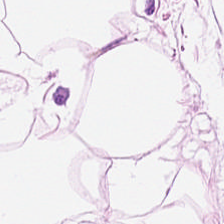Q: What tissue type is shown here?
A: It is adipocytes.
